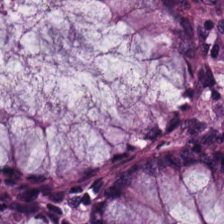Hematoxylin-and-eosin stained section.
Finding → non-neoplastic colon mucosa.
